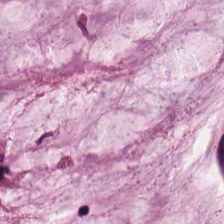224×224 px tile · hematoxylin-and-eosin stained section — Showing extracellular mucin.
